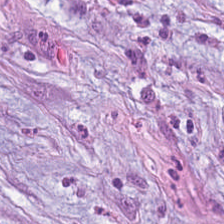20× equivalent magnification · H&E · whole-slide-image patch. Predominantly tumor stroma.
